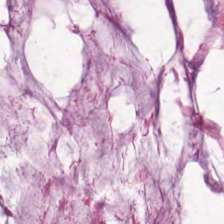Stain: hematoxylin and eosin.
Tissue type: mucin.
